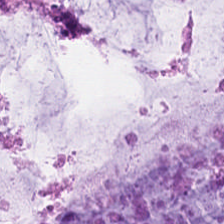H&E patch showing mucin.
